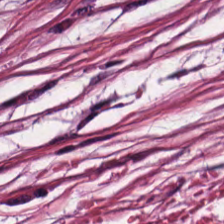WSI patch; formalin-fixed paraffin-embedded section; H&E-stained tissue section.
Tissue = tumor stroma.
